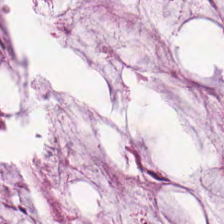0.5 microns per pixel. H&E stain.
Predominantly extracellular mucin.
